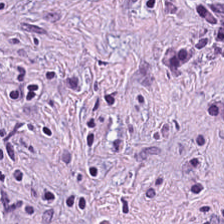Finding — tumor stroma.
